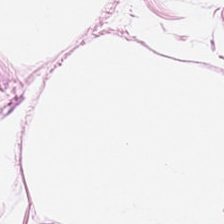Predominant tissue = adipose tissue.
